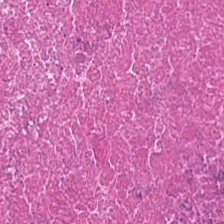Hematoxylin-and-eosin stained section. Q: What tissue type is shown here?
A: Necrotic debris.
